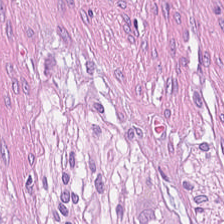Q: Classify this patch.
A: It is cancer-associated stroma.
